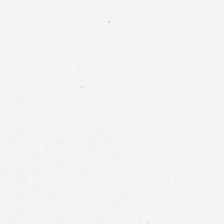224×224 px patch · H&E. Q: What is shown in this field?
A: Background (no tissue).
